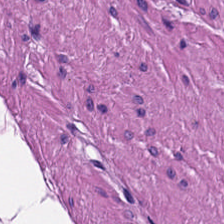Hematoxylin-and-eosin section: smooth-muscle tissue.
